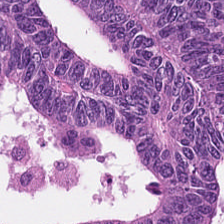Hematoxylin and eosin — Predominantly adenocarcinoma.
